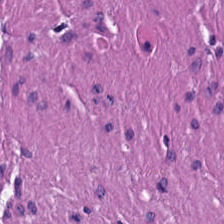Hematoxylin-and-eosin stained section — Finding → smooth muscle.
